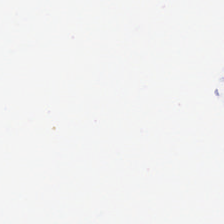H&E; 224×224 pixel tile. This patch shows no tissue.
